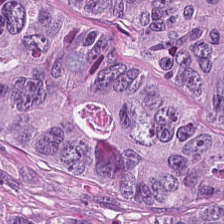H&E-stained tissue section; 224×224 px patch — This field is colorectal adenocarcinoma.
